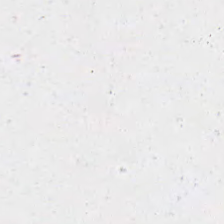Stain: hematoxylin and eosin.
Classification: empty background.
